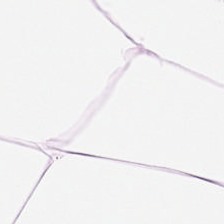H&E-stained tissue section. Q: What is shown in this field?
A: Fat tissue.
